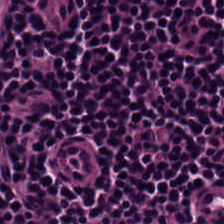Predominant tissue — lymphocytes.
